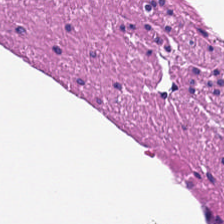H&E. Q: What does this patch show?
A: It is smooth muscle.
